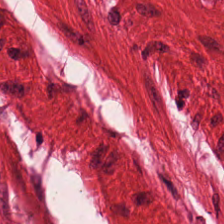224×224 pixel tile; H&E-stained tissue section; 0.5 microns per pixel — The classification is muscularis.
